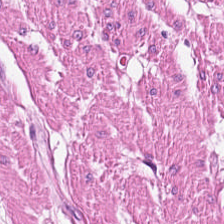Histology → smooth-muscle tissue.
